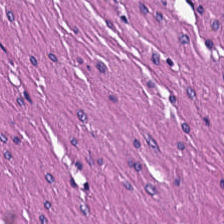Hematoxylin-and-eosin stained section · 0.5 microns per pixel · 224×224 pixel tile — This field is muscularis.
